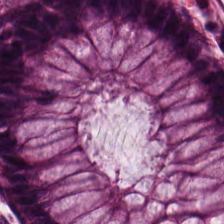WSI patch · H&E — The predominant tissue is normal colon mucosa.
